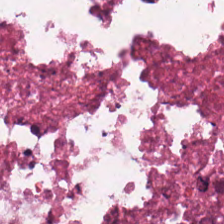H&E-stained tissue section. Q: What does this patch show?
A: Cellular debris.
